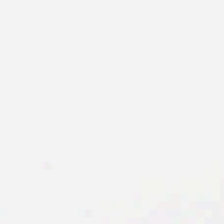H&E-stained tissue section.
Classification = empty background.
